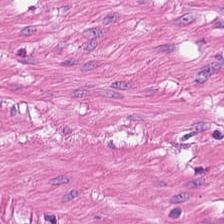Stain: H&E stain.
Tissue class: smooth muscle.
